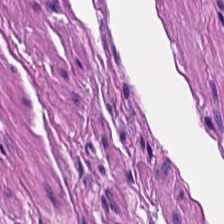The predominant tissue is muscularis.
